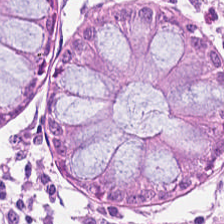Hematoxylin-and-eosin stained section.
The predominant tissue is non-neoplastic colon mucosa.
